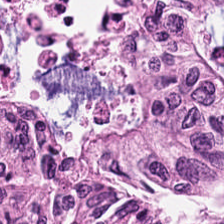Stain: hematoxylin-and-eosin stained section.
Resolution: 20× equivalent magnification.
Tile size: 224×224 px patch.
Predominant tissue: malignant epithelium.
